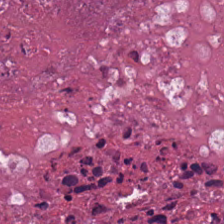Tissue type = necrotic debris.
